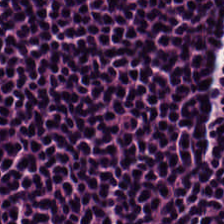Tissue type: lymphoid infiltrate.
